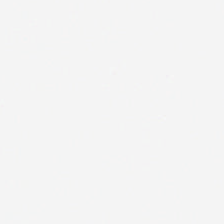H&E-stained tissue section — Q: What is shown here?
A: It is background.
